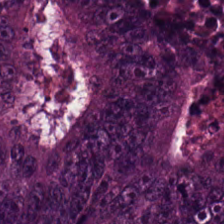0.5 microns per pixel; H&E stain — Q: Classify this patch.
A: Colorectal adenocarcinoma epithelium.
